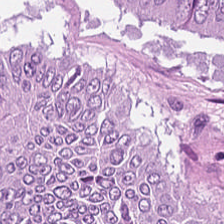Hematoxylin-and-eosin stained section — Q: What is shown in this field?
A: It is adenocarcinoma.
